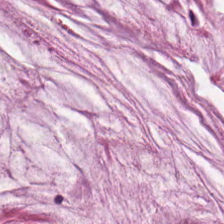Hematoxylin and eosin — The predominant tissue is mucus.
